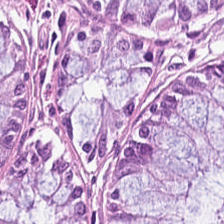FFPE tissue section · H&E stain.
Q: What type of tissue is this?
A: The field shows benign colonic mucosa.
